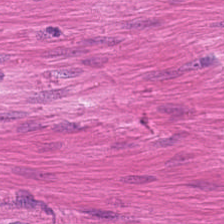Brightfield; FFPE; H&E. The classification is smooth muscle.
